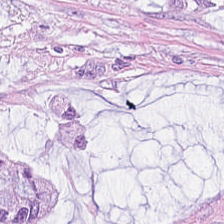H&E stain; FFPE tissue section; WSI patch — Tissue type: extracellular mucin.
